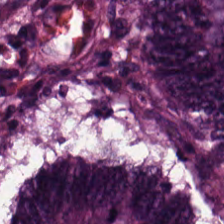Stain: hematoxylin-and-eosin stained section.
Classification: tumor epithelium.
